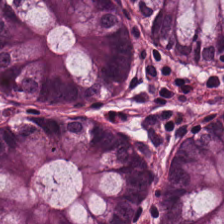{"tissue_type": "normal colon mucosa"}
